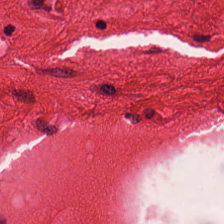The tissue here is muscularis.
